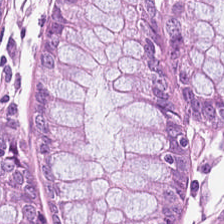Hematoxylin-and-eosin stained section · 224×224 px tile.
Predominantly normal colon mucosa.
